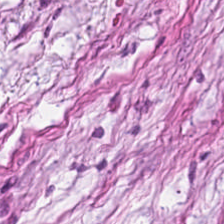Stain: H&E stain.
Preparation: formalin-fixed paraffin-embedded section.
Tissue class: tumor stroma.
